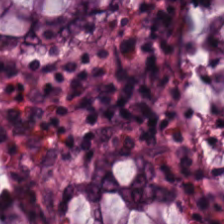FFPE · 0.5 microns per pixel · hematoxylin-and-eosin stained section.
The tissue here is normal colonic mucosa.
